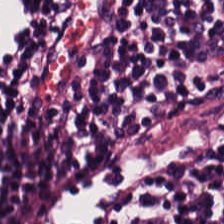Hematoxylin and eosin.
Lymphocytic infiltrate.
